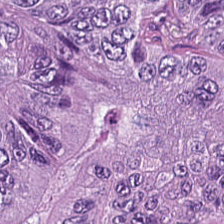H&E-stained tissue section — Classification: adenocarcinoma.
